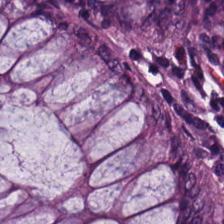Hematoxylin and eosin — Impression → benign colonic mucosa.
